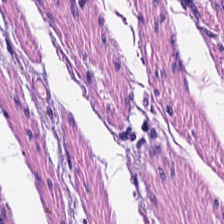H&E-stained tissue section.
Histology → smooth muscle.
